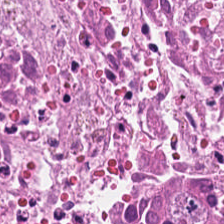H&E stain · brightfield.
Tissue — cellular debris.
